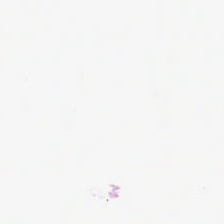FFPE. H&E stain. Q: What is shown here?
A: The field shows empty background.
